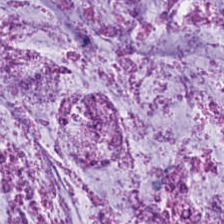Stain: H&E-stained tissue section.
Tissue: mucin.
